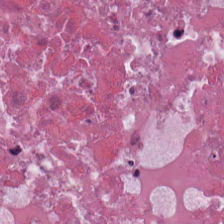H&E stain; FFPE tissue section — Showing cellular debris.
